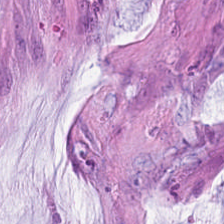H&E stain.
Q: What type of tissue is this?
A: It is extracellular mucin.
